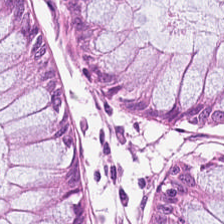H&E stain. This patch shows normal colon mucosa.
